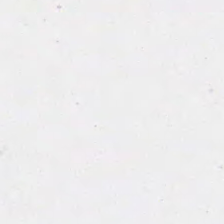Hematoxylin-and-eosin stained section. Whole-slide-image patch — This patch shows empty background.
